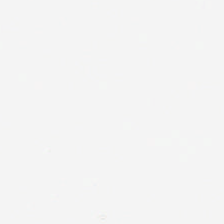H&E-stained tissue section; FFPE — This field is background (no tissue).
